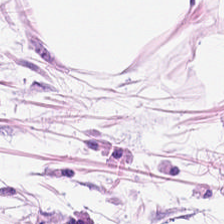Hematoxylin and eosin.
Tissue type = adipose tissue.
